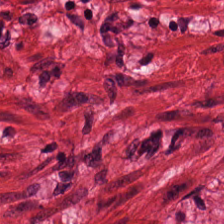Hematoxylin and eosin.
This field is muscularis.
